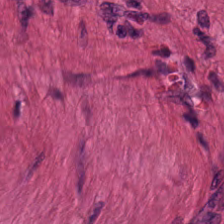Tissue class — muscularis.
